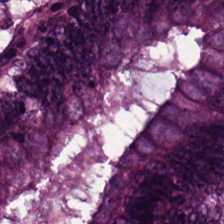Hematoxylin and eosin. Showing colorectal adenocarcinoma epithelium.
